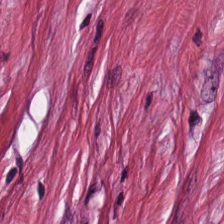Hematoxylin-and-eosin stained section. 224×224 pixel tile — Q: What does this patch show?
A: Tumor stroma.
